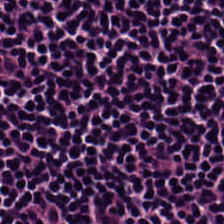Hematoxylin-and-eosin stained section — Showing lymphoid infiltrate.
